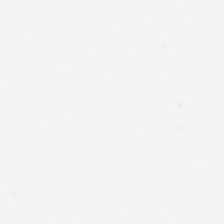20× equivalent magnification. 224×224 px patch. H&E stain — No tissue present; background only.
